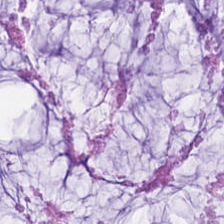H&E stain — Predominant tissue — mucin.
